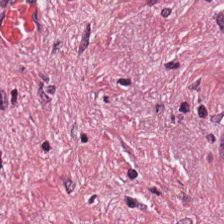H&E stain. Brightfield — Showing desmoplastic stroma.
